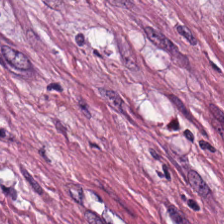FFPE tissue section. Hematoxylin-and-eosin stained section. The tissue here is desmoplastic stroma.
